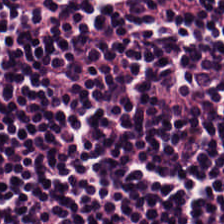H&E-stained tissue section · 224×224 pixel tile — This field is lymphocytic infiltrate.
